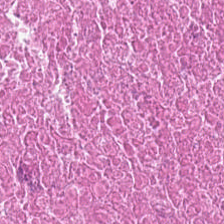Histology → cellular debris.
